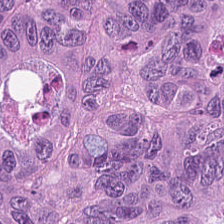Hematoxylin-and-eosin stained section. Impression — adenocarcinoma.
